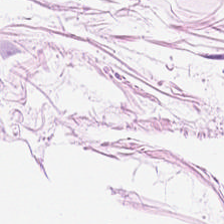20× equivalent magnification · hematoxylin-and-eosin stained section. Q: What is shown here?
A: This is adipocytes.
